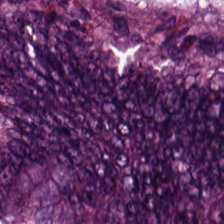H&E-stained tissue section.
Tissue class — malignant epithelium.
